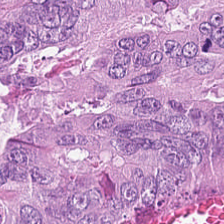Hematoxylin-and-eosin stained section — Finding → adenocarcinoma.
